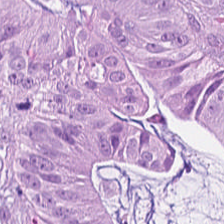Hematoxylin and eosin. Classification — adenocarcinoma.
